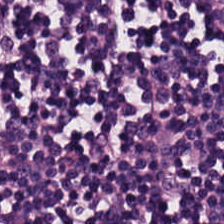The tissue here is lymphocytic infiltrate.
